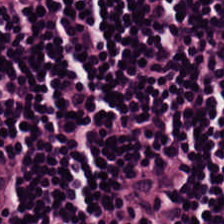This patch shows lymphocytic infiltrate.
